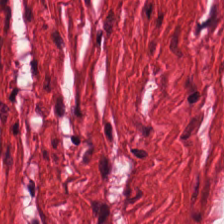Predominant tissue — smooth muscle.
